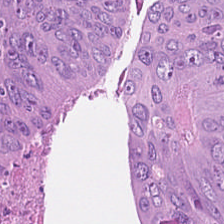Stain: hematoxylin-and-eosin stained section.
Classification: malignant epithelium.
